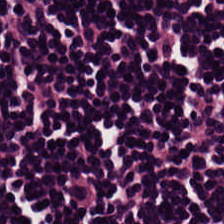Stain: H&E.
Predominant tissue: lymphocyte aggregate.
